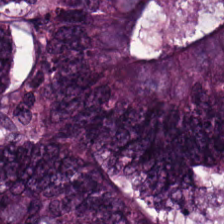Hematoxylin-and-eosin stained section — Predominant tissue = colorectal adenocarcinoma epithelium.
